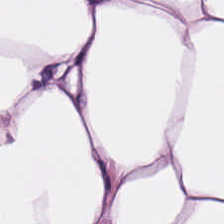224×224 pixel tile · hematoxylin-and-eosin stained section.
Predominantly adipose.
